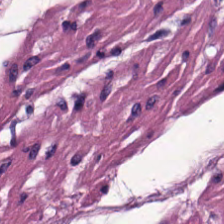Whole-slide-image patch; hematoxylin-and-eosin stained section.
The tissue class is smooth muscle.
